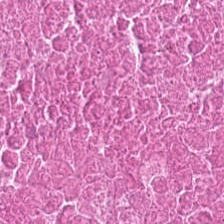Brightfield · hematoxylin and eosin — Q: Classify this patch.
A: The field shows cellular debris.
